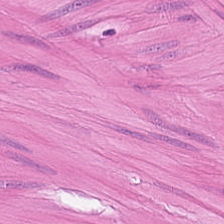H&E · 224×224 px patch · 0.5 microns per pixel.
This field is smooth muscle.
